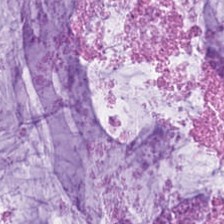Stain: H&E.
Tissue class: mucin.
